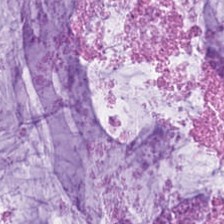Stain: H&E.
Tissue class: mucin.
